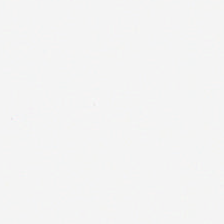Whole-slide-image patch · hematoxylin and eosin. Background — no tissue in this field.
